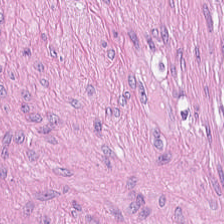224×224 pixel tile. H&E stain.
The tissue is tumor-associated stroma.
